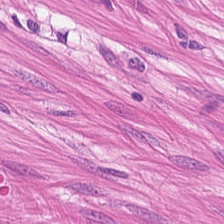FFPE tissue section · H&E-stained tissue section. {"tissue_type": "smooth-muscle tissue"}
